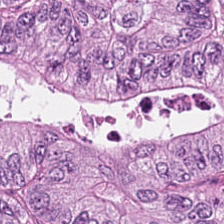Whole-slide-image patch; 224×224 px tile; H&E-stained tissue section — Q: What tissue type is shown here?
A: This is malignant epithelium.
